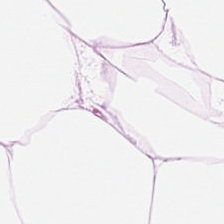H&E patch showing fat tissue.
